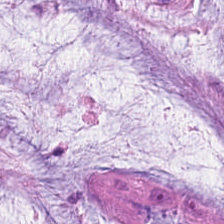H&E.
The tissue is mucus.
